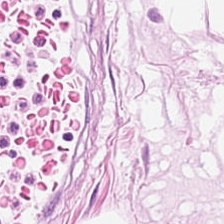H&E. Q: What is shown in this field?
A: The field shows adipose tissue.
